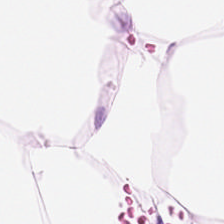Classification = fat tissue.
